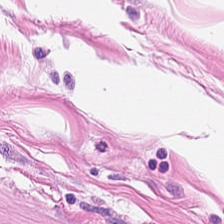Hematoxylin and eosin · 0.5 µm/px — Histology — smooth muscle.
